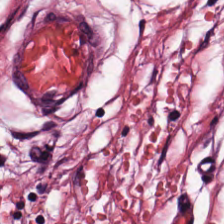Brightfield microscopy. Hematoxylin and eosin. Impression → tumor-associated stroma.
